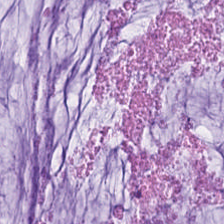H&E-stained tissue section showing mucus.
